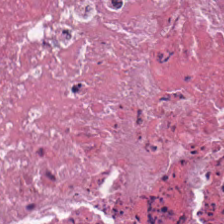H&E — Cellular debris.
